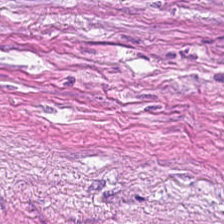H&E stain · 224×224 px patch · 20× equivalent magnification — Predominantly tumor-associated stroma.
